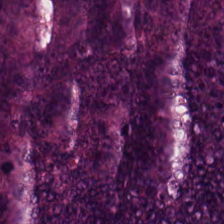H&E.
Q: What tissue is shown?
A: This is malignant epithelium.
